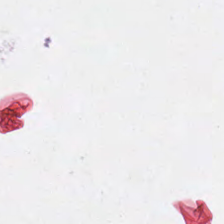Brightfield · H&E. This patch shows background.
